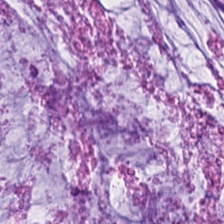H&E stain. Q: What is shown in this field?
A: Mucus.
